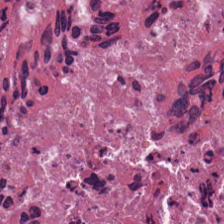Predominantly cellular debris.
